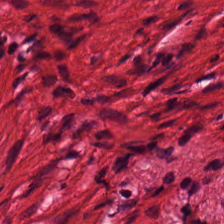Hematoxylin and eosin; brightfield microscopy — Tissue type — smooth-muscle tissue.
